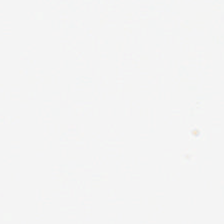Formalin-fixed paraffin-embedded section. H&E-stained tissue section — This field is background (no tissue).
